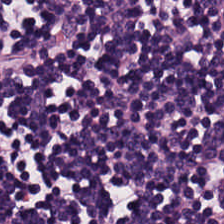Tissue — lymphocyte aggregate.
